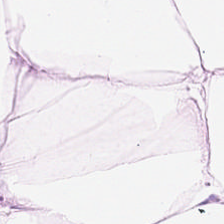224×224 pixel tile; H&E-stained tissue section — Tissue type: adipose.
